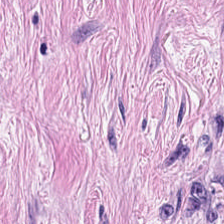Stain: hematoxylin-and-eosin stained section.
Tissue: desmoplastic stroma.
